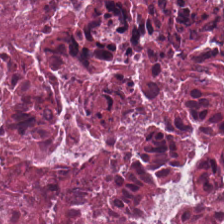Stain: hematoxylin and eosin.
Resolution: 0.5 µm per pixel.
Tissue type: cellular debris.
